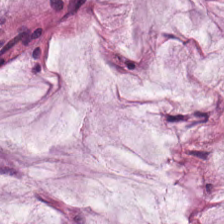H&E-stained section; the field shows mucus.
